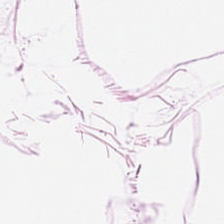224×224 px tile · H&E stain. This field is adipose.
